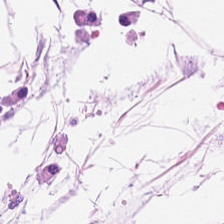H&E.
The tissue type is adipose tissue.
